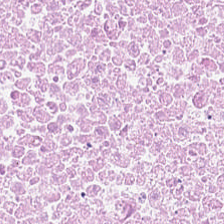H&E.
This patch shows necrotic debris.
